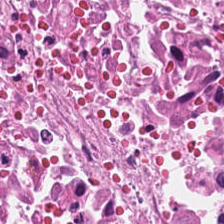H&E stain; whole-slide-image patch — {"tissue_type": "debris"}
